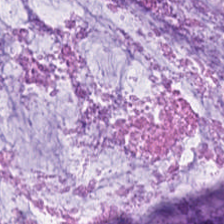Mucus.
